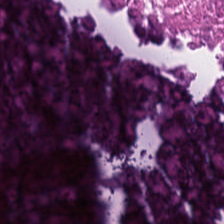{"tissue_type": "cellular debris"}
